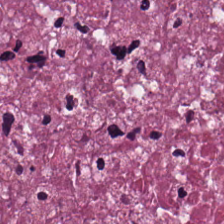Hematoxylin and eosin. 224×224 px tile. Brightfield — Necrotic debris.
